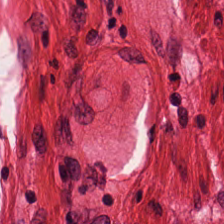Hematoxylin and eosin — Tissue — smooth muscle.
